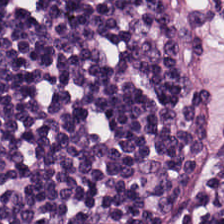H&E stain — The tissue type is lymphocytic infiltrate.
